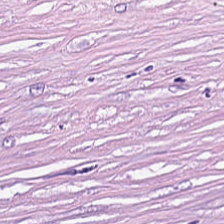H&E — Tissue — tumor-associated stroma.
